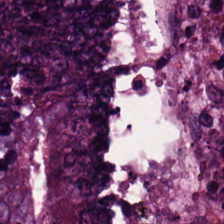H&E stain · WSI patch.
Q: What tissue type is shown here?
A: The field shows tumor epithelium.
